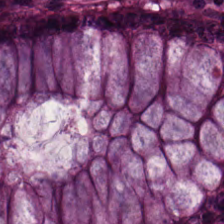The predominant tissue is normal colon mucosa.
